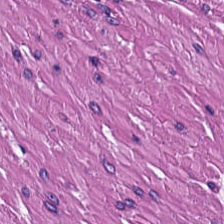Hematoxylin and eosin. Tissue class: smooth muscle.
